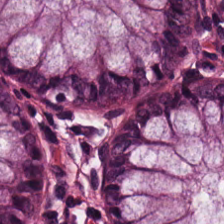H&E. Finding → non-neoplastic colon mucosa.
